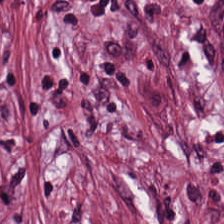Hematoxylin-and-eosin stained section · brightfield microscopy · 224×224 px tile — Predominantly tumor stroma.
